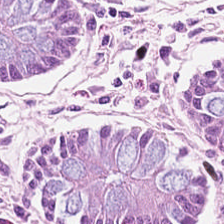Stain: hematoxylin-and-eosin stained section.
Tile size: 224×224 px patch.
Tissue type: benign colonic mucosa.
